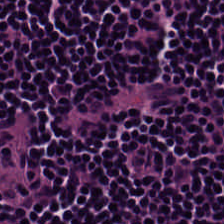Stain: H&E-stained tissue section.
Tissue: lymphocytic infiltrate.
